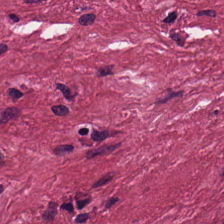Formalin-fixed paraffin-embedded section. H&E stain. 224×224 pixel tile. Classification: tumor-associated stroma.
